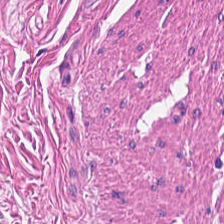FFPE. H&E-stained tissue section.
Muscularis.
